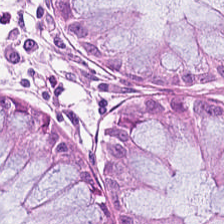0.5 microns per pixel; H&E-stained tissue section; FFPE tissue section — {"tissue_type": "normal colonic mucosa"}
